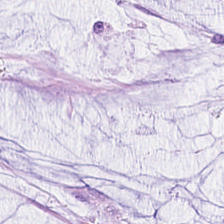Impression — extracellular mucin.
